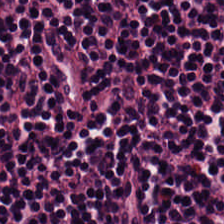H&E stain.
Classification — lymphocytes.
